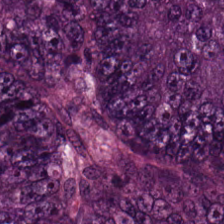H&E-stained tissue section.
Q: What does this patch show?
A: The field shows colorectal adenocarcinoma epithelium.
